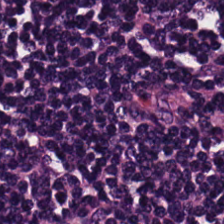FFPE tissue section; 224×224 px patch; H&E stain — Classification: lymphocyte aggregate.
